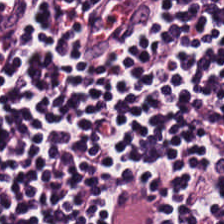FFPE. Hematoxylin and eosin. Brightfield — Tissue type = lymphoid infiltrate.
